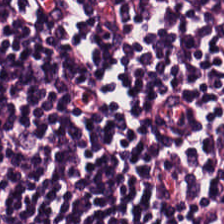FFPE · H&E · whole-slide-image patch. Q: Identify the tissue.
A: Lymphoid infiltrate.
